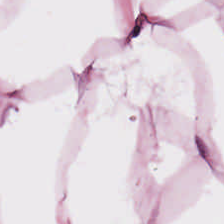Hematoxylin and eosin. This field is adipose tissue.
